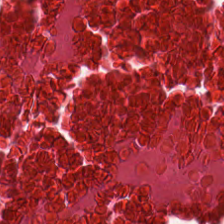H&E — Q: Identify the tissue.
A: The field shows debris.
